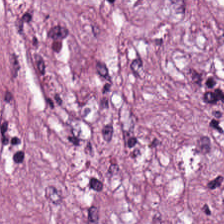H&E — Tissue type = tumor stroma.
